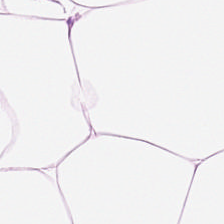224×224 px tile · H&E-stained tissue section — Impression — adipose tissue.
